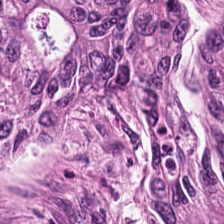224×224 px tile; 20× equivalent magnification; H&E-stained tissue section. Tissue = malignant epithelium.
